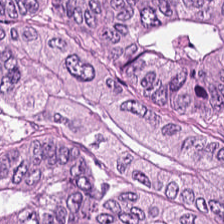The tissue is tumor epithelium.
